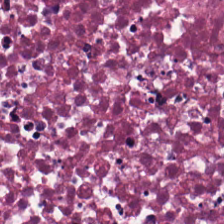H&E-stained tissue section.
The tissue is necrotic debris.
